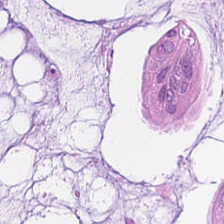224×224 px patch; H&E-stained tissue section; 0.5 µm per pixel.
Extracellular mucin.
